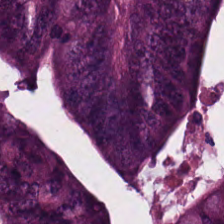224×224 px tile · hematoxylin-and-eosin stained section.
Q: What is shown in this field?
A: This is adenocarcinoma.
